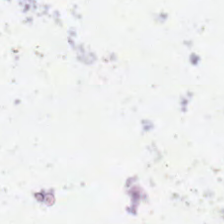Content — background (no tissue).
